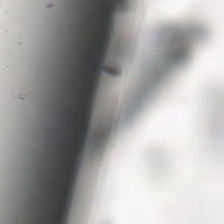Hematoxylin and eosin.
{"content": "empty background"}
